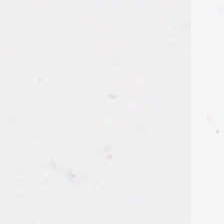FFPE. H&E-stained tissue section.
This field is background (no tissue).
